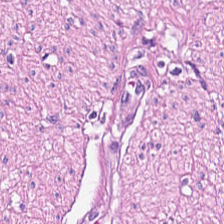H&E stain — Impression → muscularis.
